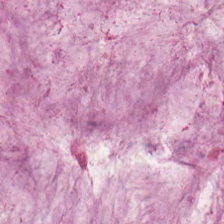Brightfield microscopy. H&E stain. Tissue class = extracellular mucin.
